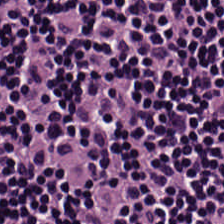Tissue — lymphocyte aggregate.
